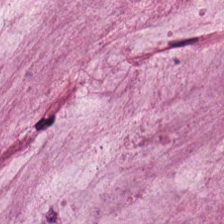The predominant tissue is mucus.
